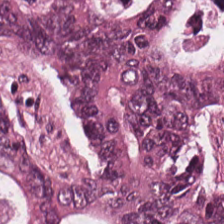Q: What is shown in this field?
A: The field shows colorectal adenocarcinoma epithelium.
